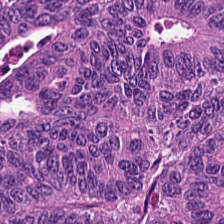224×224 px patch; H&E-stained tissue section.
Showing colorectal adenocarcinoma epithelium.
